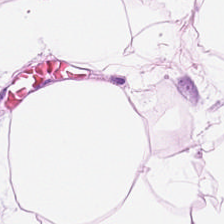H&E-stained tissue section — Q: Classify this patch.
A: The field shows adipocytes.
